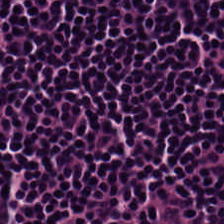The predominant tissue is lymphocytes.
